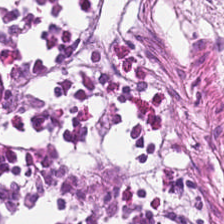FFPE tissue section; brightfield; hematoxylin-and-eosin stained section.
This field is non-neoplastic colon mucosa.
